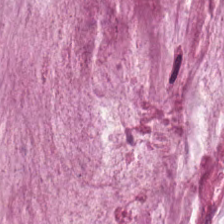H&E. WSI patch.
Predominant tissue = mucin.
